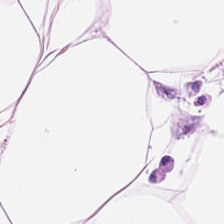FFPE tissue section · hematoxylin and eosin.
Q: What is shown in this field?
A: Adipose tissue.
